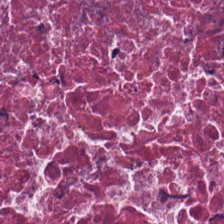H&E — The predominant tissue is cellular debris.
